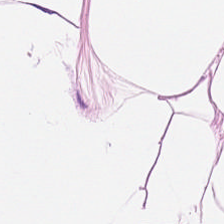Hematoxylin and eosin — Q: Identify the tissue.
A: The field shows adipocytes.
